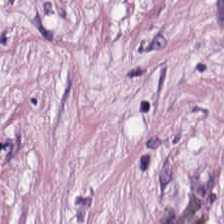20× equivalent magnification · H&E stain · 224×224 px tile. Tissue class = cancer-associated stroma.
